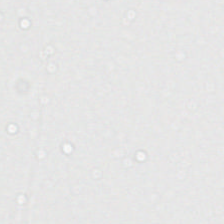FFPE tissue section; hematoxylin-and-eosin stained section.
{"content": "empty background"}
